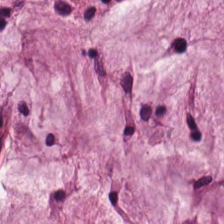Hematoxylin-and-eosin stained section. FFPE tissue section — {"tissue_type": "mucin"}
